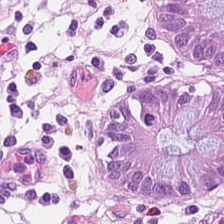Tissue class: normal colon mucosa.
